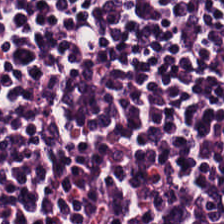H&E. 224×224 px patch — Lymphocyte aggregate.
